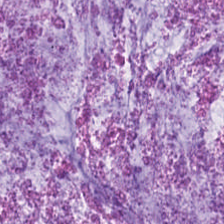Stain: H&E.
Predominant tissue: extracellular mucin.
